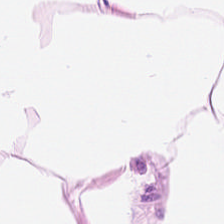H&E-stained tissue section · 20× equivalent magnification. The classification is adipose.
